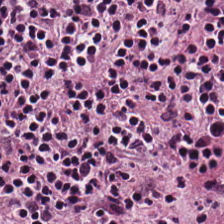Stain: hematoxylin-and-eosin stained section.
Classification: lymphocyte aggregate.
